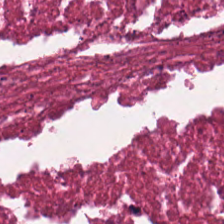H&E stain.
The tissue here is debris.
